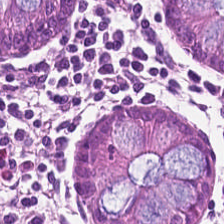Hematoxylin-and-eosin stained section.
Classification = normal colon mucosa.
